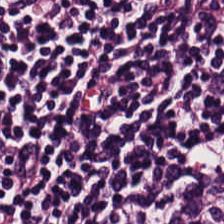Hematoxylin-and-eosin stained section.
The predominant tissue is lymphocytes.
